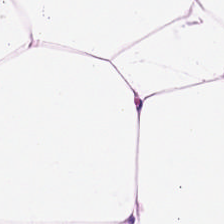H&E-stained tissue section.
Finding → adipose.
